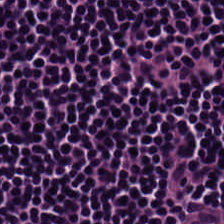Q: What tissue type is shown here?
A: This is lymphocyte aggregate.
